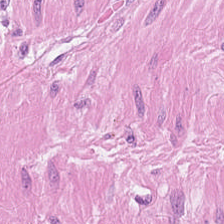H&E.
The tissue here is smooth muscle.
